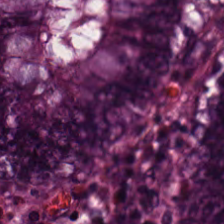The predominant tissue is normal colon mucosa.
